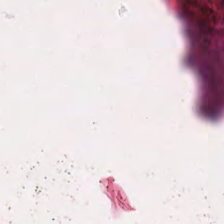H&E-stained tissue section showing necrotic debris.
